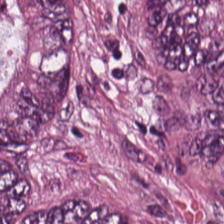Impression → adenocarcinoma.
